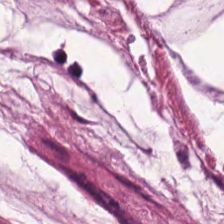Hematoxylin and eosin; 224×224 px patch; brightfield. Tissue type — extracellular mucin.
